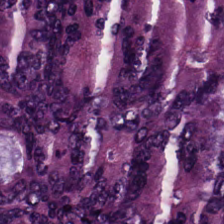Hematoxylin and eosin — The tissue type is colorectal adenocarcinoma.
